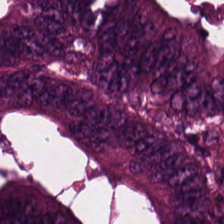Hematoxylin-and-eosin stained section — {"tissue_type": "colorectal adenocarcinoma"}
